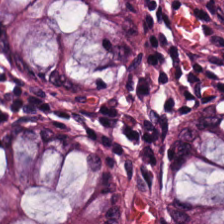H&E. This patch shows non-neoplastic colon mucosa.
